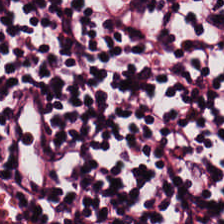H&E — lymphocyte aggregate.
